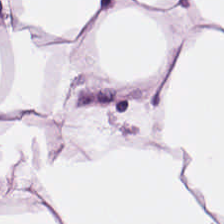H&E-stained tissue section.
Impression — adipose tissue.
